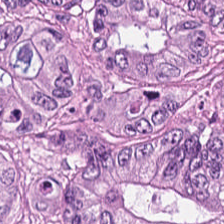Hematoxylin and eosin.
Finding → tumor epithelium.
